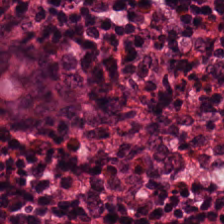Hematoxylin-and-eosin stained section · FFPE tissue section · 0.5 µm/px.
{"tissue_type": "normal colonic mucosa"}
